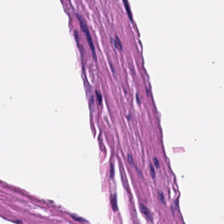H&E stain. 224×224 px patch — Q: Identify the tissue.
A: This is muscularis.
